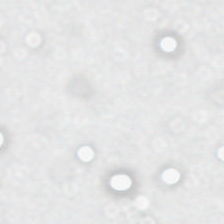H&E stain.
Content: background.
